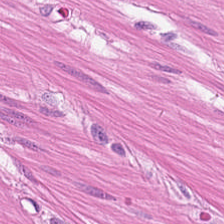H&E stain · 0.5 microns per pixel — Classification: smooth-muscle tissue.
